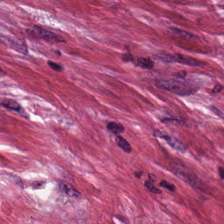H&E stain · 224×224 px tile.
Finding → cancer-associated stroma.
